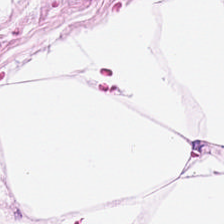H&E-stained tissue section. Adipose.
